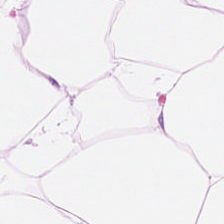H&E-stained tissue section.
Predominantly adipose tissue.
